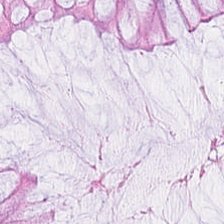Classification = normal colonic mucosa.
